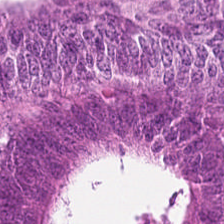Hematoxylin-and-eosin section: colorectal adenocarcinoma.
